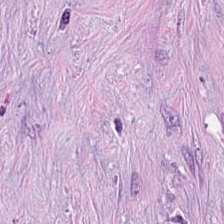H&E patch showing cancer-associated stroma.
